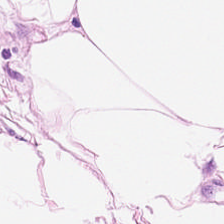H&E. Adipose tissue.
